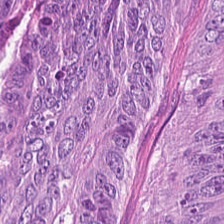H&E-stained tissue section. 0.5 µm/px.
The predominant tissue is colorectal adenocarcinoma.
